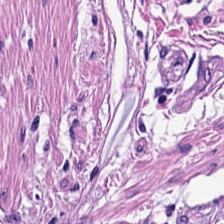224×224 pixel tile. H&E stain. 0.5 microns per pixel — Q: What does this patch show?
A: The field shows smooth-muscle tissue.
